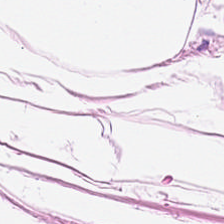0.5 µm per pixel; hematoxylin and eosin.
Q: What is shown here?
A: The field shows adipocytes.
